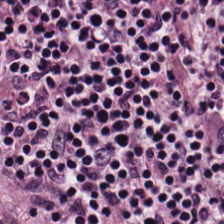Hematoxylin and eosin.
Tissue type: lymphocyte aggregate.
